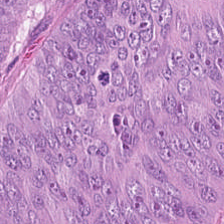Hematoxylin-and-eosin stained section; brightfield. Showing colorectal adenocarcinoma.
